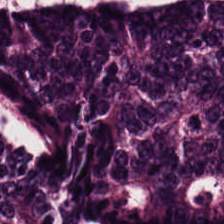H&E stain; 20× equivalent magnification — This patch shows adenocarcinoma.
